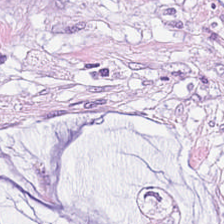H&E · 0.5 µm per pixel. Tissue: extracellular mucin.
